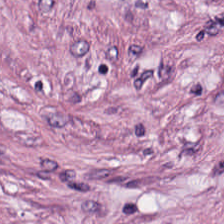20× equivalent magnification; H&E.
The tissue here is tumor stroma.
